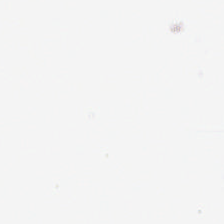Histology — background.
